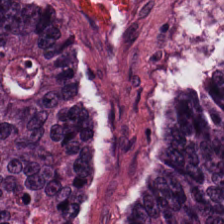H&E; FFPE tissue section; WSI patch. Finding → adenocarcinoma.
